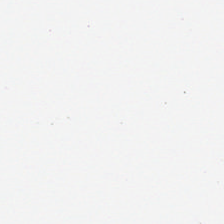Whole-slide-image patch; 224×224 pixel tile; hematoxylin-and-eosin stained section.
Q: What does this patch show?
A: It is empty background.
